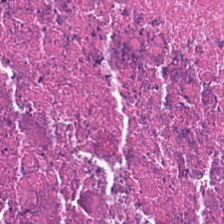H&E — This field is necrotic debris.
